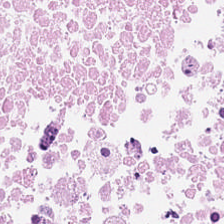Stain: H&E-stained tissue section.
Preparation: FFPE.
Tissue: debris.
